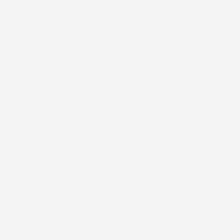H&E stain.
{"content": "background (no tissue)"}
